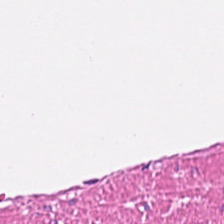H&E. Brightfield — {"tissue_type": "muscularis"}
